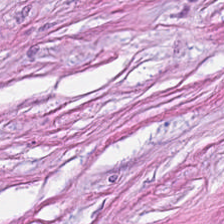Q: What type of tissue is this?
A: This is tumor stroma.
